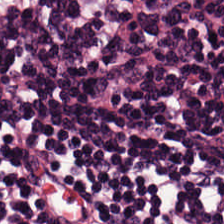H&E stain · FFPE. Q: What is shown here?
A: Lymphocytic infiltrate.
